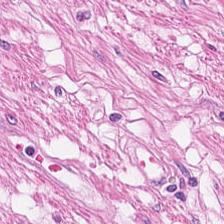H&E. 224×224 px tile. Muscularis.
